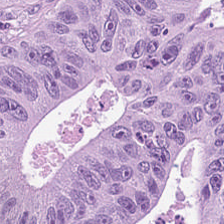H&E-stained tissue section — Finding — colorectal adenocarcinoma epithelium.
